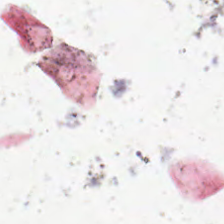H&E-stained tissue section.
Q: What is shown here?
A: Background (no tissue).
